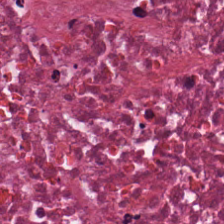H&E-stained tissue section.
Q: What type of tissue is this?
A: The field shows cellular debris.
